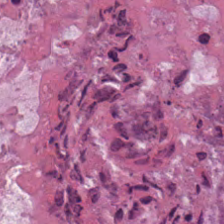224×224 px tile; H&E-stained tissue section. Histology — necrotic debris.
